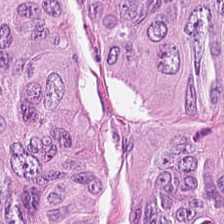Impression — tumor epithelium.
